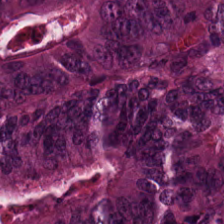Formalin-fixed paraffin-embedded section · hematoxylin-and-eosin stained section. Tissue type: tumor epithelium.
